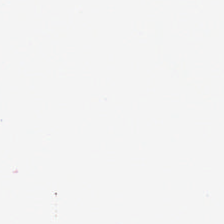Hematoxylin-and-eosin stained section. No tissue present; background only.
